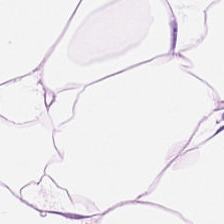Brightfield microscopy; hematoxylin-and-eosin stained section.
The tissue is adipose.
